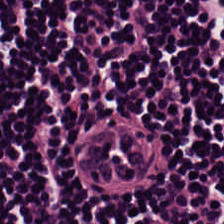The tissue here is lymphoid infiltrate.
